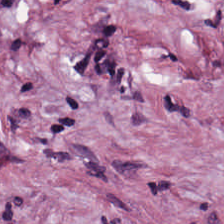Hematoxylin-and-eosin stained section; 0.5 µm/px; 224×224 px patch. Desmoplastic stroma.
